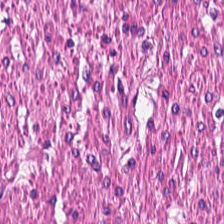Stain: H&E.
Resolution: 0.5 µm/px.
Tissue class: smooth muscle.
